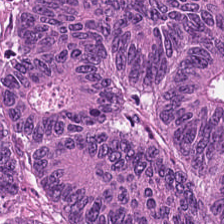FFPE tissue section; hematoxylin and eosin — Finding — malignant epithelium.
